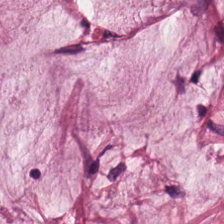H&E stain.
Predominantly extracellular mucin.
